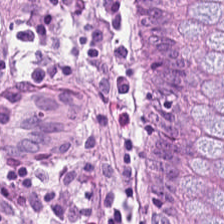20× equivalent magnification. H&E — Histology — normal colon mucosa.
